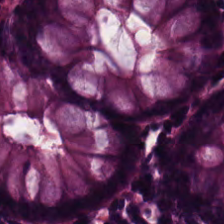Q: Identify the tissue.
A: It is non-neoplastic colon mucosa.
